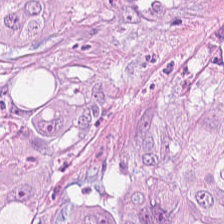H&E. Tumor epithelium.
